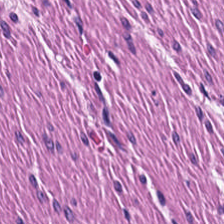H&E stain.
Impression → muscularis.
